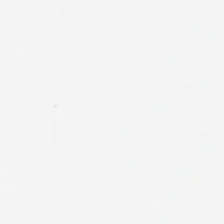FFPE tissue section · hematoxylin-and-eosin stained section.
Q: Classify this patch.
A: It is no tissue.
